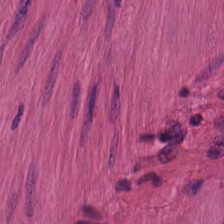Hematoxylin and eosin. This field is smooth muscle.
